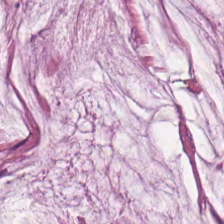H&E-stained tissue section — Q: What is the predominant tissue type?
A: Mucus.
